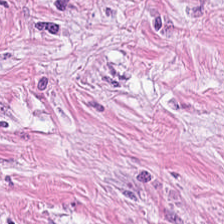Predominantly tumor-associated stroma.
